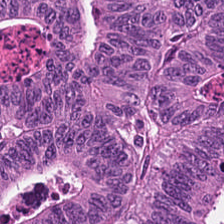H&E patch showing tumor epithelium.
